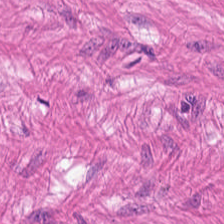Stain: H&E stain.
Classification: smooth-muscle tissue.
